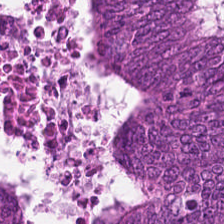H&E — The tissue here is malignant epithelium.
